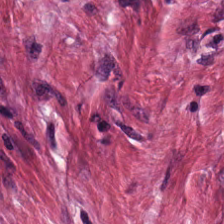H&E.
Tissue class = tumor-associated stroma.
